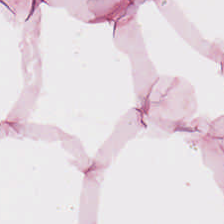Brightfield microscopy · hematoxylin and eosin · 224×224 px patch. Predominantly adipose.
